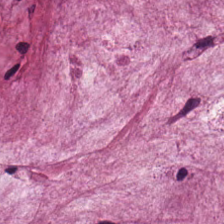Hematoxylin and eosin — Showing mucin.
